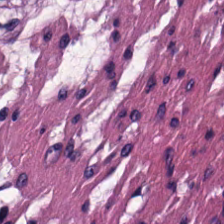Showing muscularis.
